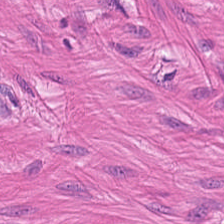Hematoxylin and eosin.
This patch shows smooth-muscle tissue.
